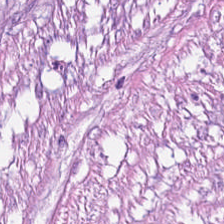H&E.
Histology → tumor-associated stroma.
